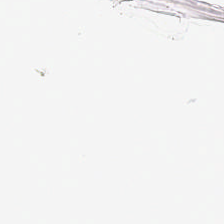Hematoxylin and eosin. Field content: no tissue.
